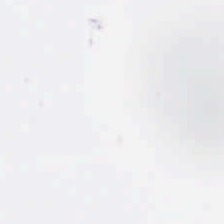H&E stain · whole-slide-image patch.
This patch shows no tissue.
